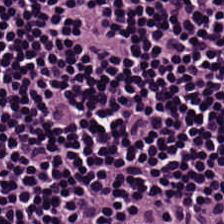Hematoxylin-and-eosin section: lymphoid infiltrate.
